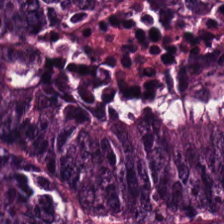Hematoxylin-and-eosin stained section. WSI patch. 224×224 px tile. This patch shows tumor epithelium.
